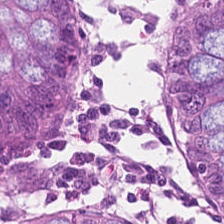Hematoxylin-and-eosin stained section. 20× equivalent magnification. 224×224 px patch — Predominant tissue = benign colonic mucosa.
